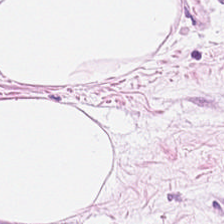H&E.
The tissue is adipose.
